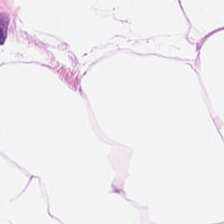Stain: hematoxylin and eosin.
Predominant tissue: fat tissue.
